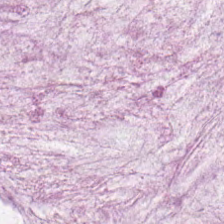Hematoxylin-and-eosin stained section; 0.5 µm per pixel — The tissue is extracellular mucin.
